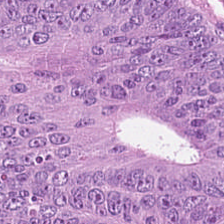Brightfield microscopy. H&E-stained tissue section.
The predominant tissue is colorectal adenocarcinoma epithelium.
